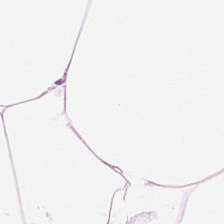Tissue class — adipose tissue.
